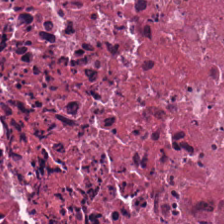Stain: H&E-stained tissue section.
Resolution: 20× equivalent magnification.
Tissue type: necrotic debris.
